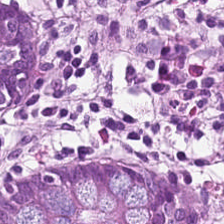Tissue = normal colonic mucosa.
